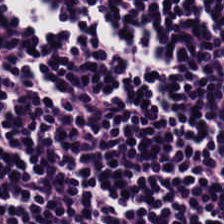The tissue here is lymphocyte aggregate.
